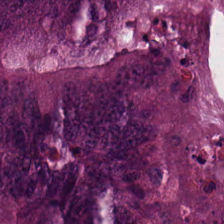0.5 microns per pixel. Hematoxylin-and-eosin stained section. 224×224 pixel tile.
The tissue here is malignant epithelium.
